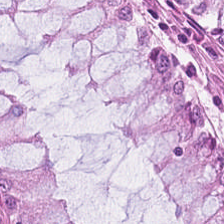Brightfield; formalin-fixed paraffin-embedded section; H&E-stained tissue section — Tissue type: benign colonic mucosa.
